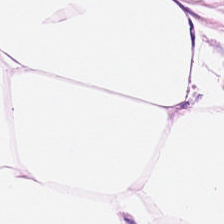H&E stain · 224×224 px patch · formalin-fixed paraffin-embedded section.
{"tissue_type": "adipose"}
